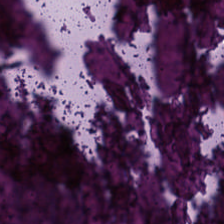H&E stain; 224×224 pixel tile. Classification — debris.
